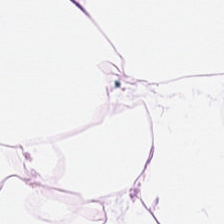This field is adipose tissue.
